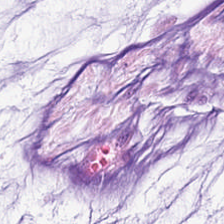Hematoxylin-and-eosin stained section; FFPE tissue section. The classification is mucin.
